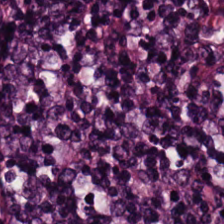H&E-stained tissue section — Q: What is shown in this field?
A: It is lymphoid infiltrate.
